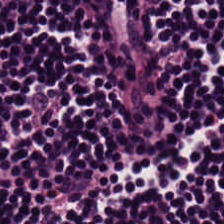H&E stain.
Tissue type — lymphocytes.
